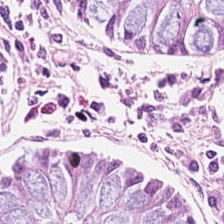Hematoxylin-and-eosin stained section · 224×224 px tile. Tissue class — normal colon mucosa.
